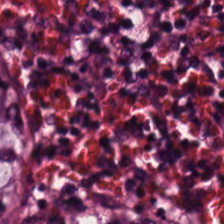Stain: H&E stain.
Classification: normal colon mucosa.
